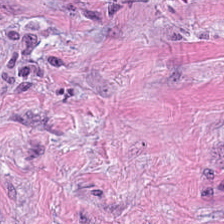Q: Classify this patch.
A: The field shows tumor stroma.
